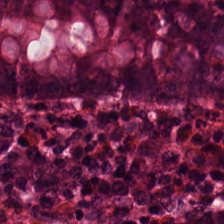Stain: H&E.
Tissue type: non-neoplastic colon mucosa.
